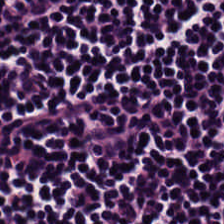Finding → lymphoid infiltrate.
